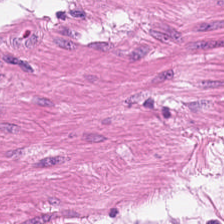224×224 pixel tile · H&E stain.
Q: What is shown in this field?
A: Smooth muscle.
